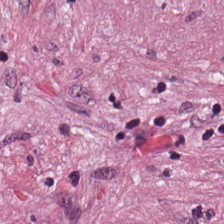H&E-stained tissue section — The predominant tissue is desmoplastic stroma.
